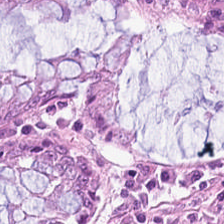Hematoxylin and eosin.
Showing normal colon mucosa.
